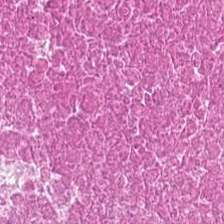FFPE tissue section. H&E stain. Histology — cellular debris.
